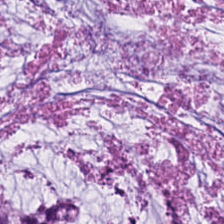Q: What is the predominant tissue type?
A: This is mucus.
